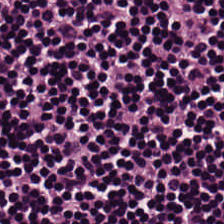Hematoxylin-and-eosin stained section.
Histology — lymphocyte aggregate.
